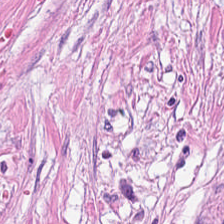H&E-stained tissue section.
The tissue here is cancer-associated stroma.
